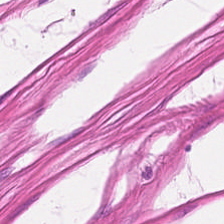Stain: hematoxylin and eosin.
Predominant tissue: smooth muscle.
